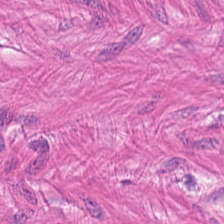H&E — smooth-muscle tissue.
